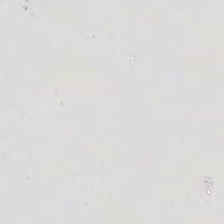No tissue present; background only.
